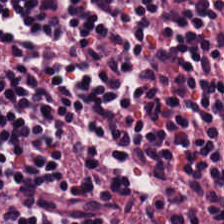Predominantly lymphocyte aggregate.
